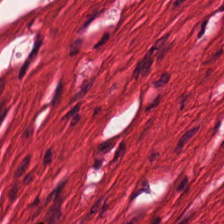H&E stain. FFPE tissue section — The predominant tissue is smooth-muscle tissue.
